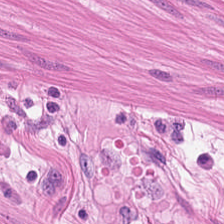Hematoxylin and eosin — {"tissue_type": "smooth-muscle tissue"}
